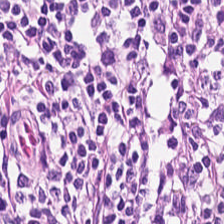H&E-stained tissue section.
The predominant tissue is lymphocyte aggregate.
